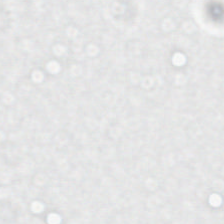Stain: hematoxylin-and-eosin stained section.
Field content: background (no tissue).
